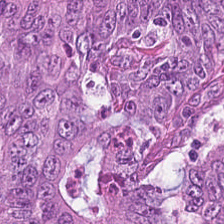Stain: H&E-stained tissue section.
Tissue type: colorectal adenocarcinoma epithelium.
